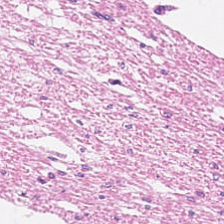H&E-stained tissue section — Histology — muscularis.
